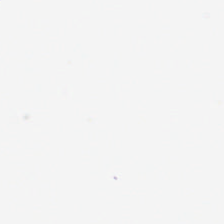Hematoxylin and eosin — Field content: background (no tissue).
